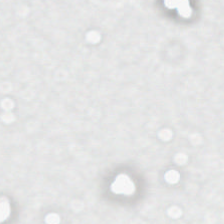Q: What is shown here?
A: Background.
